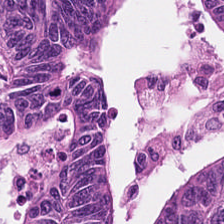FFPE · H&E · WSI patch — Showing adenocarcinoma.
